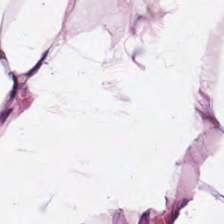0.5 µm per pixel. FFPE. H&E stain. Finding → fat tissue.
